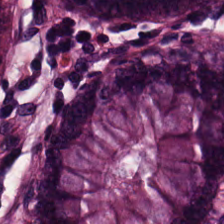H&E — non-neoplastic colon mucosa.
